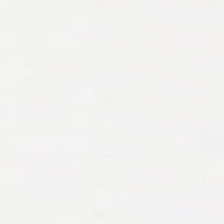H&E-stained tissue section. Empty field — background.
